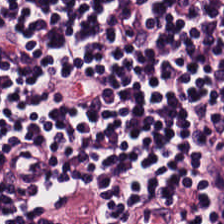Stain: H&E stain.
Tissue: lymphoid infiltrate.
